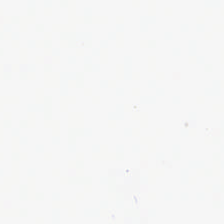20× equivalent magnification. Hematoxylin-and-eosin stained section. Background — no tissue in this field.
